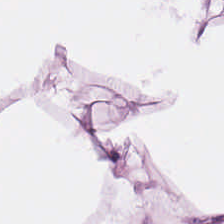{"tissue_type": "fat tissue"}
